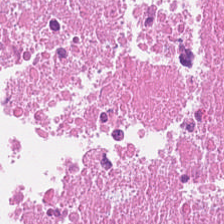H&E — Tissue — debris.
